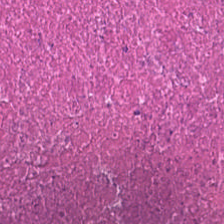Q: What type of tissue is this?
A: Cellular debris.
